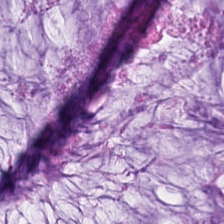H&E-stained tissue section · 224×224 px tile · whole-slide-image patch.
Mucin.
